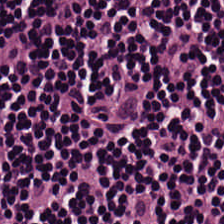Formalin-fixed paraffin-embedded section; H&E-stained tissue section; WSI patch — Lymphocyte aggregate.
